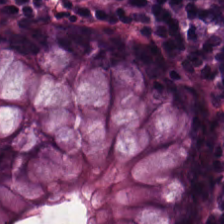Hematoxylin and eosin. 224×224 pixel tile — Showing benign colonic mucosa.
